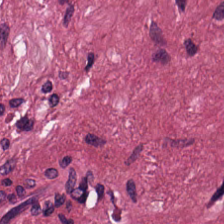H&E-stained tissue section — Tissue type = desmoplastic stroma.
